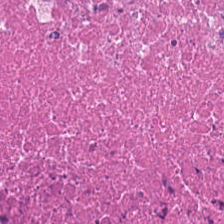Showing cellular debris.
